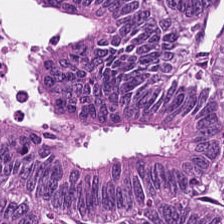H&E stain. This patch shows colorectal adenocarcinoma epithelium.
